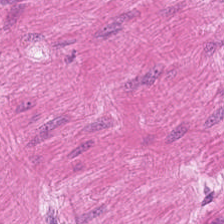224×224 pixel tile · H&E.
Tissue type: muscularis.
